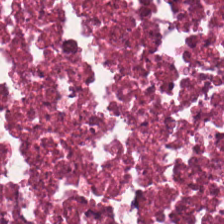Stain: H&E.
Tissue: cellular debris.
